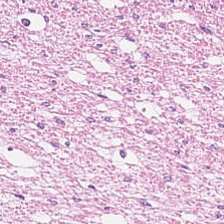Tissue class = smooth muscle.
